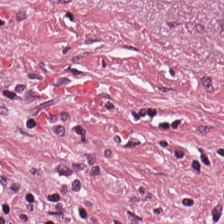{"tissue_type": "cancer-associated stroma"}
